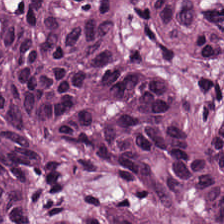Finding — malignant epithelium.
